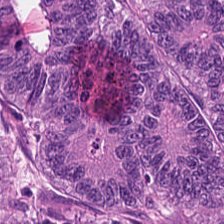Q: Classify this patch.
A: It is malignant epithelium.
